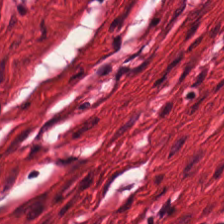Whole-slide-image patch; FFPE; hematoxylin-and-eosin stained section. Q: Identify the tissue.
A: It is smooth muscle.
